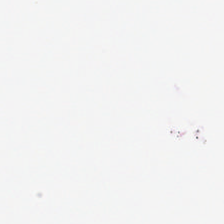Background.
